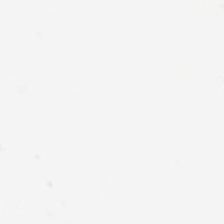Brightfield microscopy · 0.5 microns per pixel · H&E stain — Classification = no tissue.
